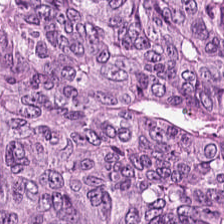Hematoxylin and eosin. FFPE tissue section. 20× equivalent magnification — Finding → colorectal adenocarcinoma.
